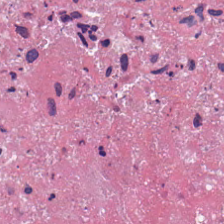H&E-stained tissue section — The tissue here is necrotic debris.
